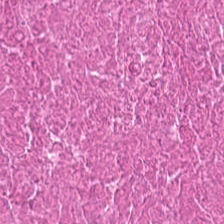Stain: hematoxylin-and-eosin stained section.
Tissue: cellular debris.
